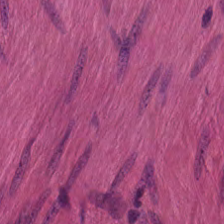Hematoxylin and eosin — Smooth-muscle tissue.
